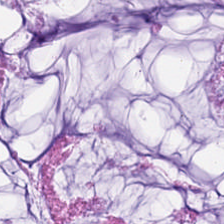H&E stain. {"tissue_type": "mucus"}
